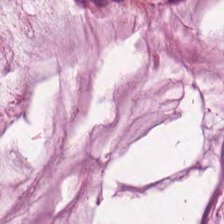FFPE; hematoxylin and eosin. Tissue class = mucus.
